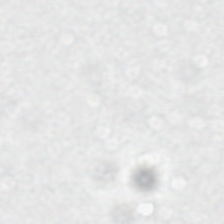0.5 µm per pixel; H&E — Content = empty background.
